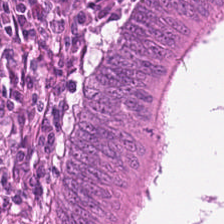H&E-stained tissue section · 0.5 microns per pixel. Tissue type = tumor epithelium.
